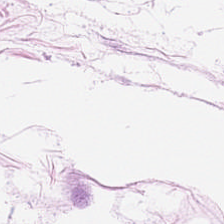H&E stain. This field is adipose tissue.
